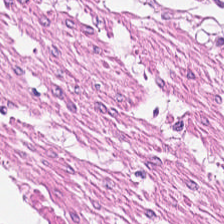H&E-stained tissue section. 224×224 px patch. Brightfield microscopy — Predominantly smooth muscle.
